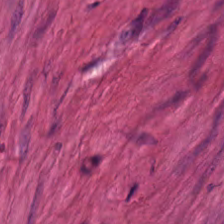Hematoxylin and eosin. Tissue class: muscularis.
